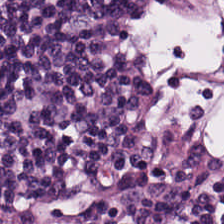H&E-stained tissue section · 0.5 microns per pixel.
Q: What tissue type is shown here?
A: Lymphocyte aggregate.
